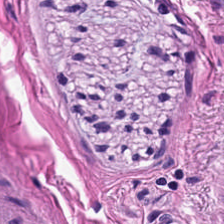Hematoxylin and eosin; 20× equivalent magnification; 224×224 px patch.
Histology — smooth-muscle tissue.
